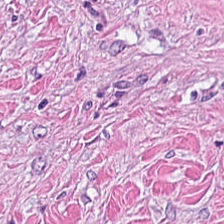H&E stain — Q: Identify the tissue.
A: Cancer-associated stroma.
